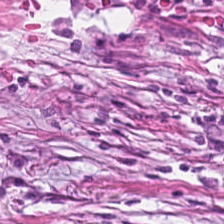Hematoxylin and eosin · formalin-fixed paraffin-embedded section · 0.5 µm per pixel.
Q: Classify this patch.
A: It is desmoplastic stroma.
